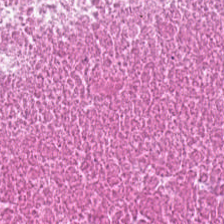H&E stain. This patch shows necrotic debris.
